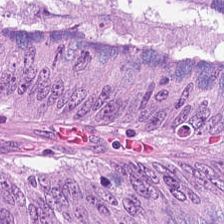H&E-stained tissue section. The tissue here is malignant epithelium.
